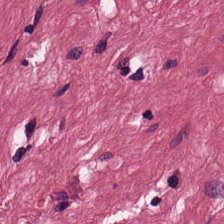H&E stain — Predominantly tumor-associated stroma.
